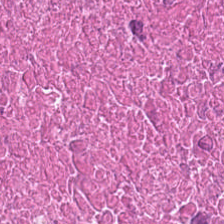{"tissue_type": "cellular debris"}
